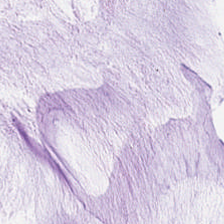Stain: hematoxylin and eosin.
Classification: extracellular mucin.
